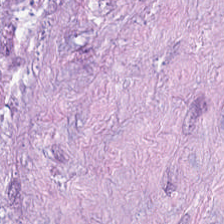224×224 px tile; hematoxylin-and-eosin stained section.
Tissue type = desmoplastic stroma.
